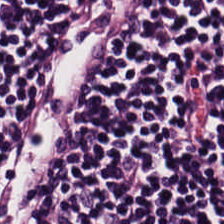H&E stain.
Histology → lymphocyte aggregate.
